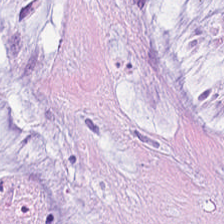Whole-slide-image patch. Hematoxylin-and-eosin stained section — Predominantly extracellular mucin.
